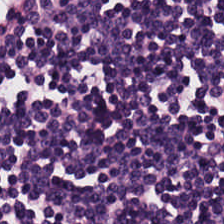H&E-stained section; the field shows lymphocytic infiltrate.
